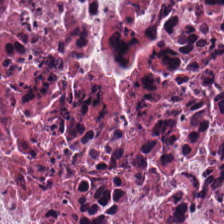Hematoxylin and eosin · brightfield microscopy.
The predominant tissue is debris.
